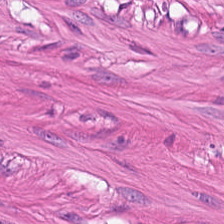Hematoxylin and eosin — Finding — smooth-muscle tissue.
